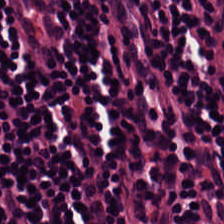Q: What type of tissue is this?
A: This is lymphocytic infiltrate.
